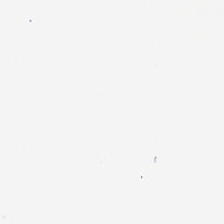Formalin-fixed paraffin-embedded section. 224×224 px patch. Hematoxylin and eosin. Background.
